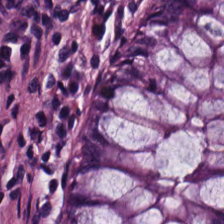H&E — Histology → non-neoplastic colon mucosa.
